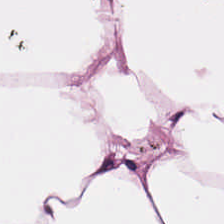H&E — Histology → adipose tissue.
